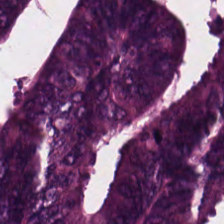H&E stain; formalin-fixed paraffin-embedded section; brightfield.
Q: What type of tissue is this?
A: The field shows colorectal adenocarcinoma epithelium.
